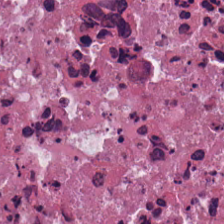H&E stain — Tissue class: cellular debris.
